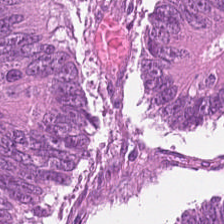Hematoxylin-and-eosin stained section. Whole-slide-image patch — Predominantly colorectal adenocarcinoma.
